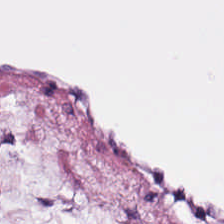0.5 µm/px. H&E. 224×224 px patch — Q: Identify the tissue.
A: It is adipose tissue.
